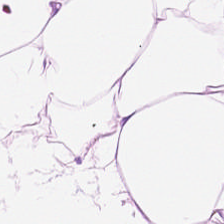Brightfield · 224×224 px tile · hematoxylin-and-eosin stained section — Tissue = adipocytes.
